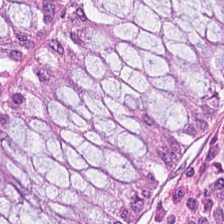Hematoxylin-and-eosin stained section.
Tissue type = non-neoplastic colon mucosa.
